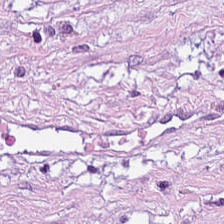Showing tumor-associated stroma.
